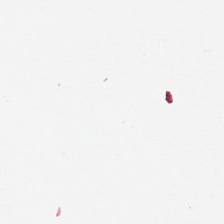H&E stain. 224×224 px patch — Background — no tissue in this field.
